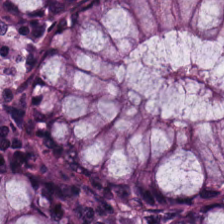H&E stain. 224×224 px patch — {"tissue_type": "benign colonic mucosa"}
